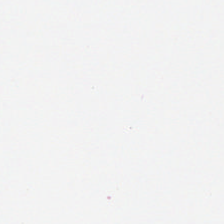{"content": "no tissue"}
